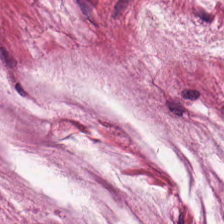This patch shows mucus.
